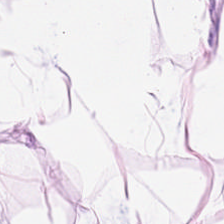The predominant tissue is adipocytes.
